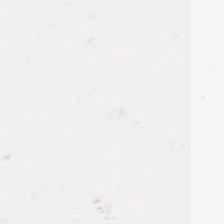Hematoxylin-and-eosin stained section.
No tissue present; background only.
